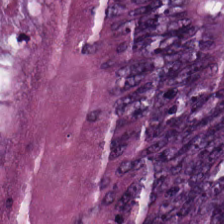Tissue — colorectal adenocarcinoma epithelium.
